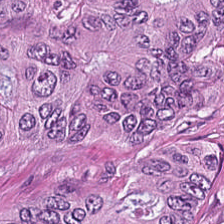Hematoxylin and eosin. Brightfield. Q: What is shown in this field?
A: The field shows tumor epithelium.
